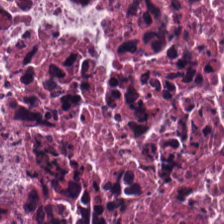Stain: hematoxylin and eosin.
Predominant tissue: cellular debris.
